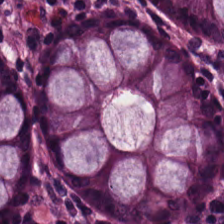Q: What tissue type is shown here?
A: This is normal colonic mucosa.
